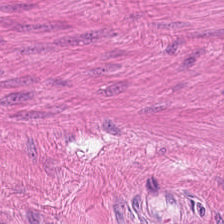0.5 µm per pixel · formalin-fixed paraffin-embedded section · hematoxylin and eosin — {"tissue_type": "muscularis"}
